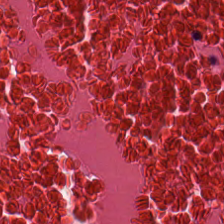H&E stain.
Q: What is shown in this field?
A: It is debris.
